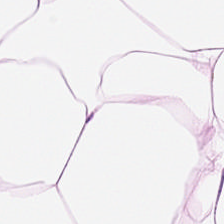The classification is adipocytes.
